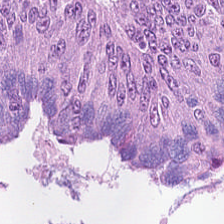H&E-stained tissue section. Whole-slide-image patch. The predominant tissue is colorectal adenocarcinoma epithelium.
